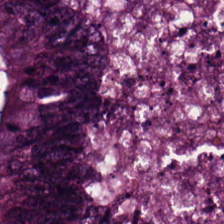224×224 px tile. Hematoxylin and eosin. {"tissue_type": "colorectal adenocarcinoma"}
